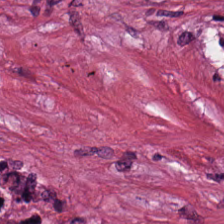H&E-stained section; the field shows tumor-associated stroma.
